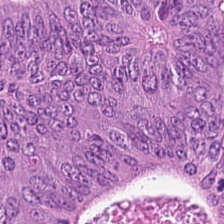H&E stain.
Classification = tumor epithelium.
